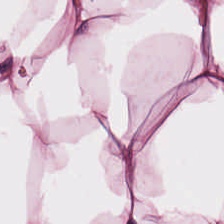H&E-stained tissue section; 224×224 pixel tile; 0.5 microns per pixel — Impression — adipocytes.
